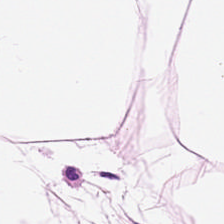H&E stain. 20× equivalent magnification. The predominant tissue is adipocytes.
